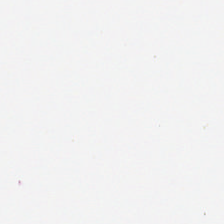Hematoxylin-and-eosin stained section.
Content — background (no tissue).
